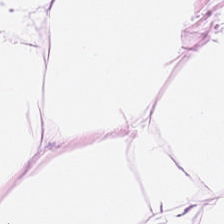Predominant tissue: fat tissue.
